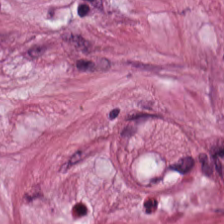0.5 µm/px · brightfield microscopy · hematoxylin-and-eosin stained section. Predominant tissue — tumor stroma.
